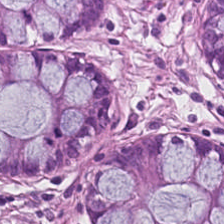Hematoxylin and eosin · 224×224 px tile. Tissue class = benign colonic mucosa.
